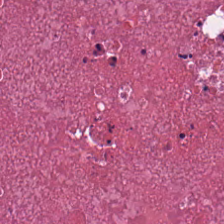Q: Identify the tissue.
A: Necrotic debris.
